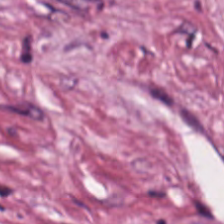Hematoxylin and eosin — Showing desmoplastic stroma.
